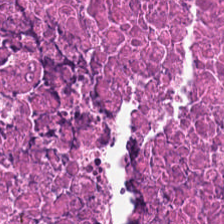Stain: H&E-stained tissue section.
Tile size: 224×224 px tile.
Resolution: 0.5 µm/px.
Tissue: necrotic debris.
